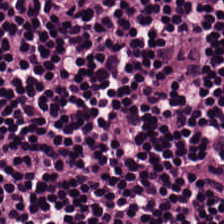Hematoxylin and eosin. Formalin-fixed paraffin-embedded section. Histology — lymphoid infiltrate.
